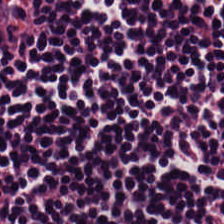H&E-stained tissue section.
Tissue class: lymphocytic infiltrate.
